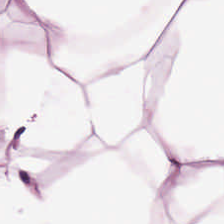H&E — adipose tissue.
